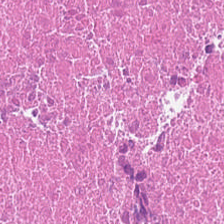Hematoxylin and eosin. Brightfield. 224×224 px patch — Finding → necrotic debris.
